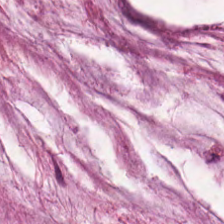H&E-stained tissue section — Predominantly mucin.
